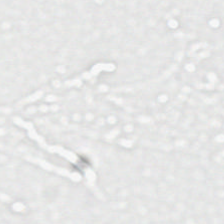Hematoxylin and eosin · FFPE tissue section — No tissue present; background only.
